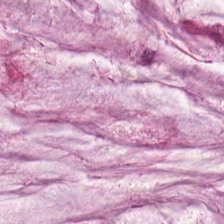H&E stain · 224×224 px tile. This patch shows mucin.
